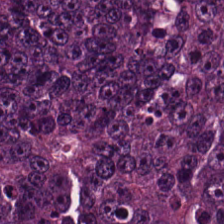Hematoxylin-and-eosin stained section. Predominant tissue: adenocarcinoma.
